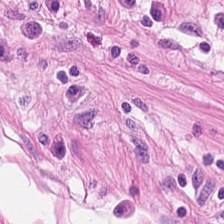Hematoxylin and eosin. The tissue here is smooth muscle.
